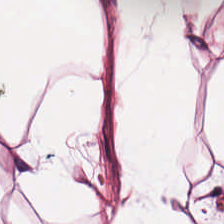Predominantly adipocytes.
